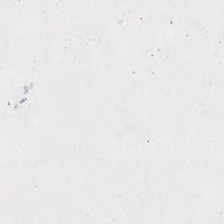H&E. 0.5 µm per pixel. {"content": "empty background"}
